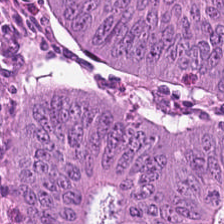Stain: hematoxylin and eosin.
Acquisition: brightfield.
Tissue class: adenocarcinoma.
